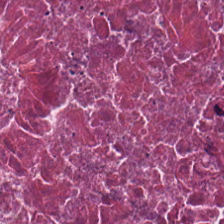Stain: H&E stain.
Tissue: debris.
